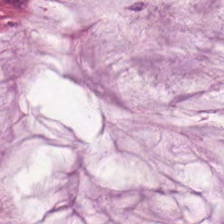H&E-stained tissue section — Q: Identify the tissue.
A: The field shows extracellular mucin.
